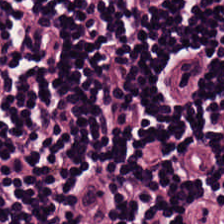Stain: hematoxylin and eosin.
Tile size: 224×224 pixel tile.
Classification: lymphocytic infiltrate.
